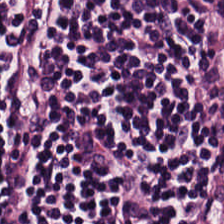224×224 pixel tile · hematoxylin-and-eosin stained section — Q: What type of tissue is this?
A: Lymphocyte aggregate.
